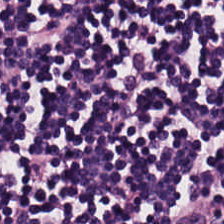H&E stain.
The tissue here is lymphocyte aggregate.
